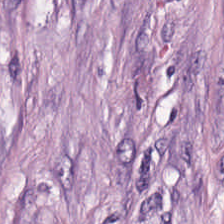Hematoxylin and eosin. WSI patch.
Q: What is the predominant tissue type?
A: It is tumor-associated stroma.
